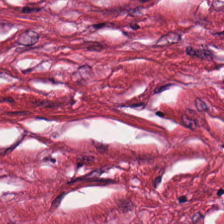H&E.
This patch shows tumor stroma.
